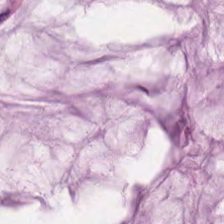0.5 µm/px. 224×224 pixel tile. Hematoxylin-and-eosin stained section — Showing extracellular mucin.
